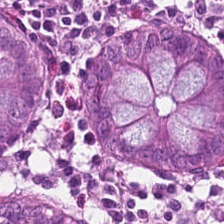224×224 px tile. Hematoxylin and eosin — Predominant tissue: normal colon mucosa.
